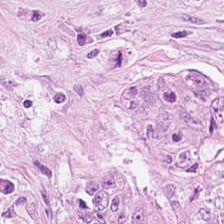Stain: H&E.
Predominant tissue: desmoplastic stroma.
